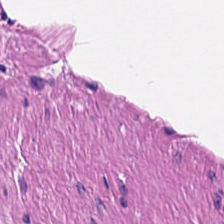H&E — Muscularis.
